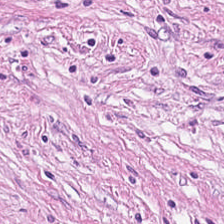Q: Identify the tissue.
A: The field shows tumor stroma.
